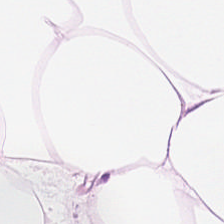Brightfield · 0.5 µm per pixel · hematoxylin-and-eosin stained section — Predominantly adipose tissue.
